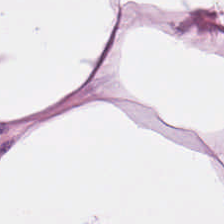H&E stain.
Q: Classify this patch.
A: Fat tissue.
